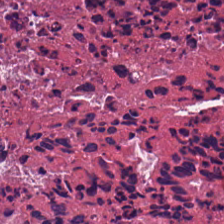Hematoxylin and eosin. 224×224 px patch — Q: What is shown here?
A: The field shows necrotic debris.
